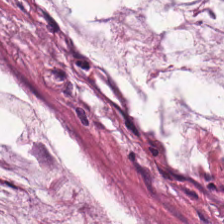Hematoxylin and eosin — The predominant tissue is mucin.
